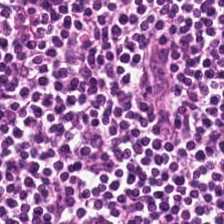H&E. Predominantly lymphocyte aggregate.
